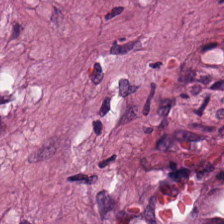Impression → desmoplastic stroma.
